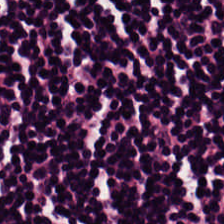H&E. 20× equivalent magnification — Q: What type of tissue is this?
A: The field shows lymphocytes.
